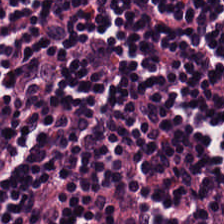H&E-stained tissue section; whole-slide-image patch.
Predominantly lymphocytes.
